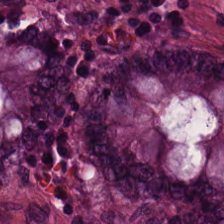Q: What is shown here?
A: This is non-neoplastic colon mucosa.
